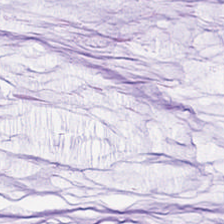Hematoxylin and eosin. Brightfield microscopy. The predominant tissue is mucus.
